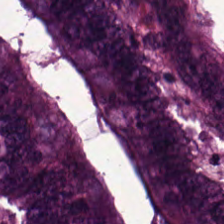224×224 px tile. H&E-stained tissue section.
This patch shows colorectal adenocarcinoma epithelium.
